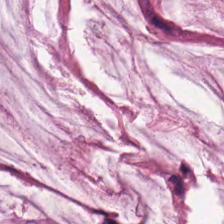Stain: hematoxylin and eosin.
Tissue class: mucin.
